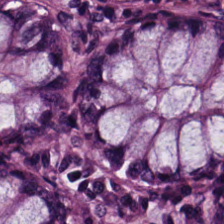Q: What does this patch show?
A: This is normal colon mucosa.
